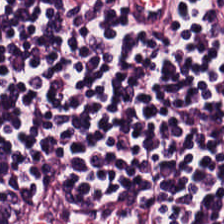0.5 microns per pixel; H&E; 224×224 pixel tile. The predominant tissue is lymphocytic infiltrate.
